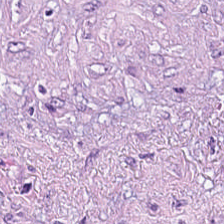Hematoxylin-and-eosin stained section. This field is cancer-associated stroma.
